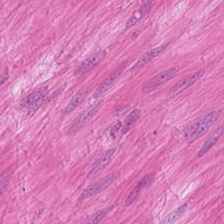Stain: H&E stain.
Resolution: 20× equivalent magnification.
Classification: smooth-muscle tissue.
